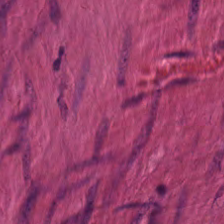{"tissue_type": "muscularis"}
